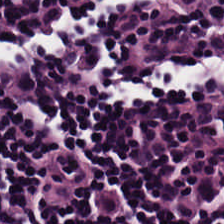Stain: H&E-stained tissue section.
Tissue type: lymphoid infiltrate.
